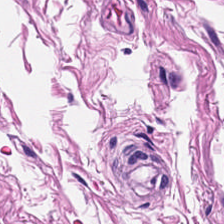Q: What is the predominant tissue type?
A: The field shows muscularis.
